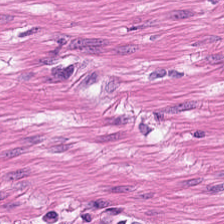H&E-stained section; the field shows smooth-muscle tissue.
